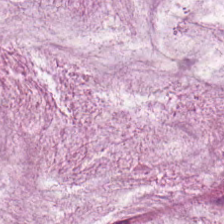Hematoxylin and eosin.
Classification = mucus.
